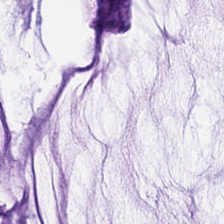224×224 px patch. FFPE. H&E.
This patch shows mucus.
